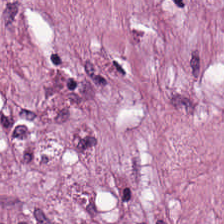Hematoxylin and eosin; FFPE tissue section; 224×224 pixel tile.
The classification is desmoplastic stroma.
